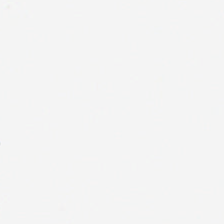Brightfield microscopy; H&E stain — No tissue present; background only.
